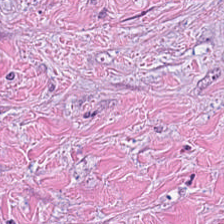Hematoxylin and eosin. 0.5 microns per pixel. The tissue here is tumor stroma.
